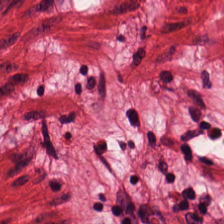H&E stain — Classification: smooth muscle.
